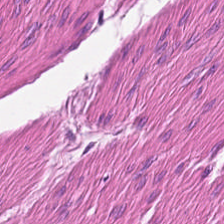H&E stain; 20× equivalent magnification; FFPE.
This field is muscularis.
